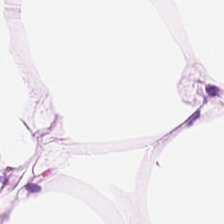Stain: H&E stain.
Tissue: adipose.
